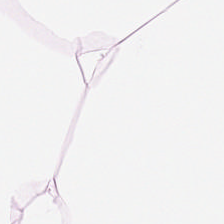Stain: H&E stain.
Tile size: 224×224 px patch.
Predominant tissue: fat tissue.
